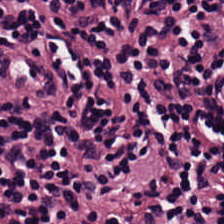H&E stain · 224×224 px patch — Finding → lymphocytic infiltrate.
